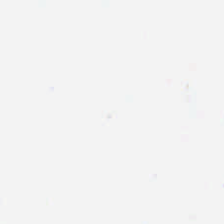224×224 px patch · hematoxylin and eosin · 0.5 µm/px. Finding → background.
